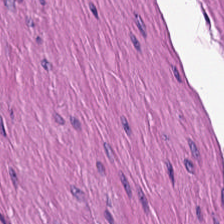H&E-stained tissue section showing smooth muscle.
